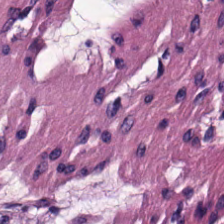224×224 pixel tile; H&E stain — The predominant tissue is muscularis.
